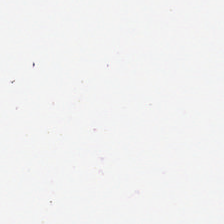Brightfield microscopy; 224×224 px patch; H&E.
{"content": "background (no tissue)"}
